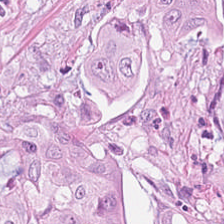H&E stain · 0.5 µm/px · formalin-fixed paraffin-embedded section. Tissue class: tumor epithelium.
